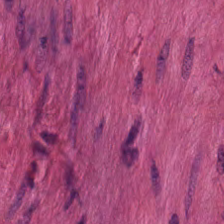Hematoxylin and eosin. Smooth-muscle tissue.
